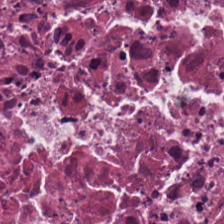H&E. Whole-slide-image patch. 0.5 µm per pixel. Predominantly debris.
